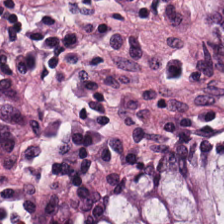Hematoxylin-and-eosin stained section. Brightfield. {"tissue_type": "non-neoplastic colon mucosa"}
